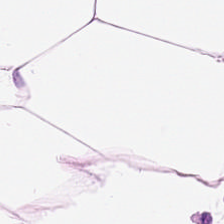Hematoxylin and eosin.
Q: What is the predominant tissue type?
A: This is adipose.
